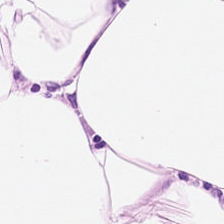Stain: hematoxylin and eosin.
Preparation: FFPE tissue section.
Classification: adipocytes.
